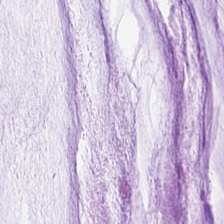H&E — Predominantly mucin.
